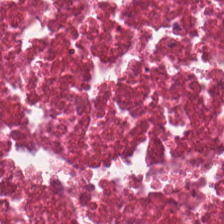Stain: H&E stain.
Tissue class: necrotic debris.
